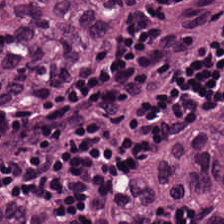H&E — Finding — tumor epithelium.
